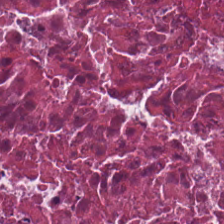Hematoxylin-and-eosin stained section · brightfield — Predominant tissue — debris.
